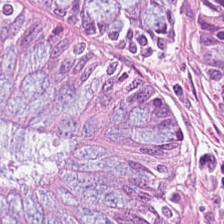Whole-slide-image patch · H&E stain.
Q: What is shown in this field?
A: The field shows normal colon mucosa.
